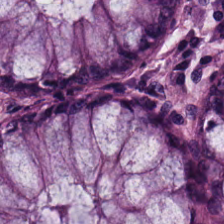Stain: hematoxylin-and-eosin stained section.
Resolution: 0.5 µm per pixel.
Classification: benign colonic mucosa.
